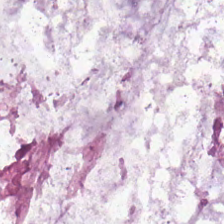Tissue = mucus.
